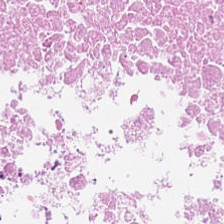Hematoxylin-and-eosin stained section; FFPE. Histology → cellular debris.
